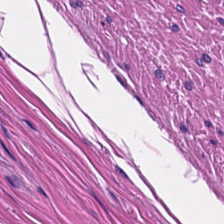H&E stain. Formalin-fixed paraffin-embedded section. 0.5 µm/px — The tissue here is smooth muscle.
